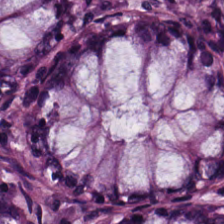Tissue class: normal colonic mucosa.
